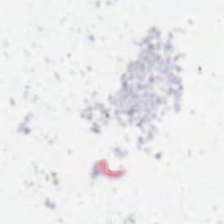Hematoxylin-and-eosin stained section.
Histology → no tissue.
